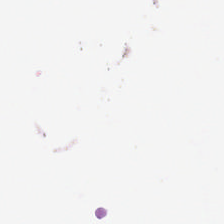H&E. Empty background.
